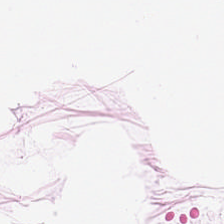The tissue class is adipose tissue.
